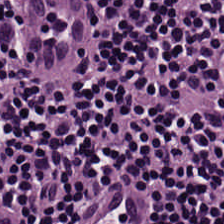H&E stain · formalin-fixed paraffin-embedded section · 224×224 pixel tile.
This field is lymphocyte aggregate.
